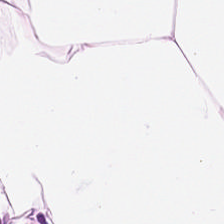Hematoxylin-and-eosin stained section — Predominantly fat tissue.
